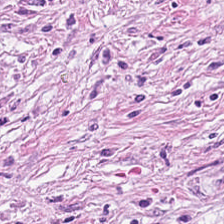224×224 px tile · H&E stain. Tissue class — cancer-associated stroma.
